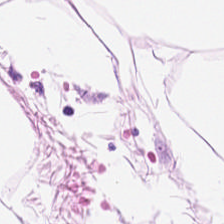H&E — The predominant tissue is adipocytes.
